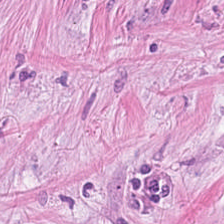Hematoxylin and eosin — Classification: tumor-associated stroma.
